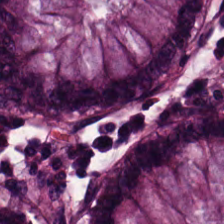H&E stain. Predominantly normal colonic mucosa.
